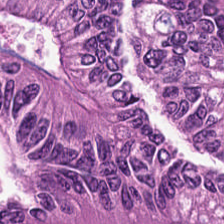Tissue type: colorectal adenocarcinoma.
